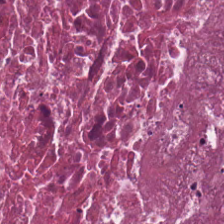Hematoxylin and eosin. Debris.
